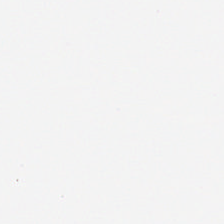Brightfield. H&E.
{"content": "no tissue"}
